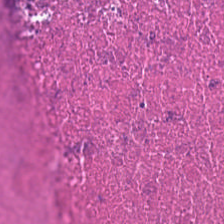H&E-stained tissue section showing debris.
